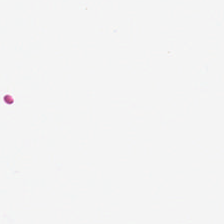224×224 pixel tile · 20× equivalent magnification · H&E — Impression → background.
